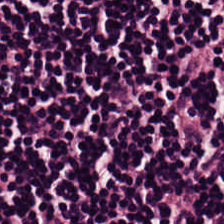H&E stain. Tissue: lymphocytic infiltrate.
